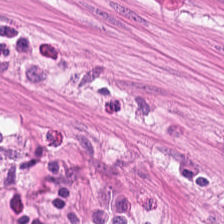WSI patch. FFPE. Hematoxylin and eosin. Predominantly muscularis.
